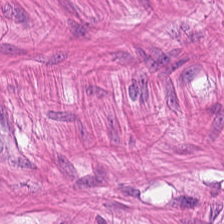Stain: H&E.
Tile size: 224×224 pixel tile.
Tissue: smooth-muscle tissue.
